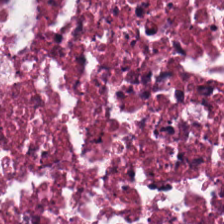Hematoxylin and eosin — Q: What does this patch show?
A: The field shows debris.
